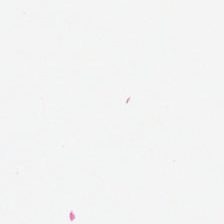Q: Classify this patch.
A: This is background (no tissue).
